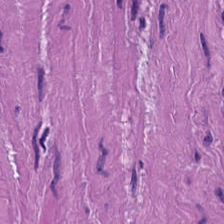Stain: H&E-stained tissue section.
Tissue: smooth-muscle tissue.
